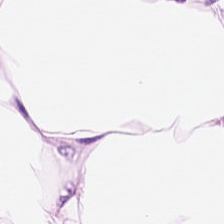H&E — fat tissue.
